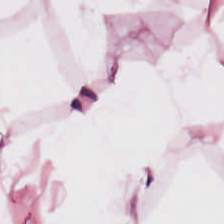Hematoxylin-and-eosin stained section. Tissue class = adipose.
